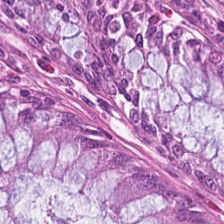Hematoxylin and eosin; brightfield microscopy; 224×224 px patch — Impression → normal colonic mucosa.
